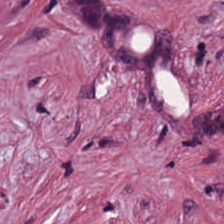Formalin-fixed paraffin-embedded section. H&E. Predominantly cancer-associated stroma.
